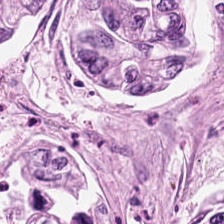Stain: hematoxylin-and-eosin stained section.
Predominant tissue: colorectal adenocarcinoma epithelium.
